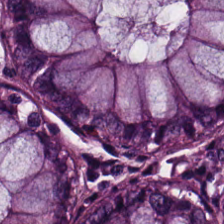H&E stain. WSI patch.
Normal colonic mucosa.
